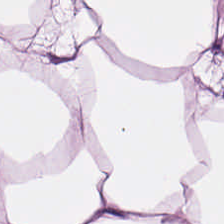Predominantly adipose.
